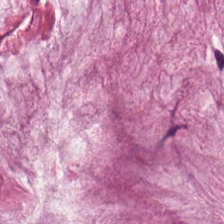H&E-stained tissue section — Tissue type = mucin.
